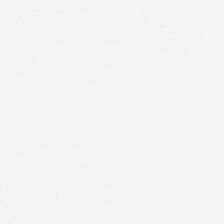H&E-stained tissue section — Finding — background.
